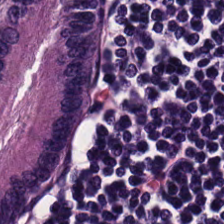H&E stain — Q: What does this patch show?
A: The field shows lymphocytic infiltrate.
